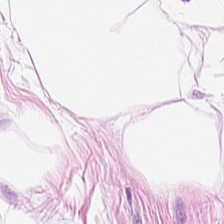H&E.
Q: What is shown here?
A: Fat tissue.
